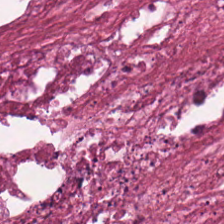FFPE tissue section · H&E-stained tissue section · 0.5 µm per pixel.
Q: What tissue is shown?
A: It is necrotic debris.
